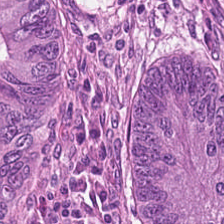H&E stain. Whole-slide-image patch.
This field is adenocarcinoma.
